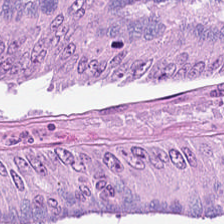Hematoxylin-and-eosin stained section.
The tissue class is colorectal adenocarcinoma.
